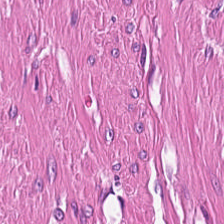Classification — smooth-muscle tissue.
